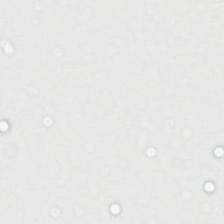Field content — background.
